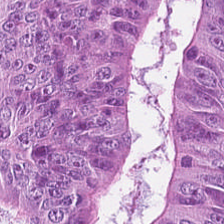Hematoxylin and eosin — The tissue class is tumor epithelium.
